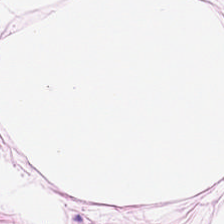224×224 px patch · H&E. Predominantly adipocytes.
